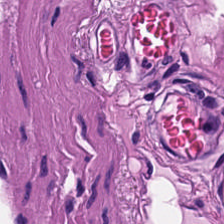H&E-stained tissue section.
Impression — smooth muscle.
